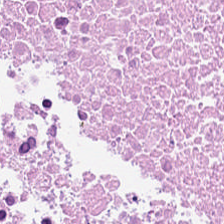H&E stain — Necrotic debris.
